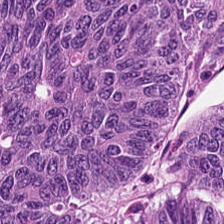Hematoxylin and eosin; 224×224 px patch.
Tissue class = malignant epithelium.
